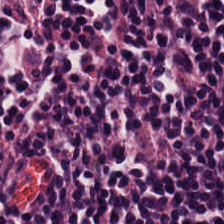Hematoxylin-and-eosin stained section. Tissue = lymphocytes.
